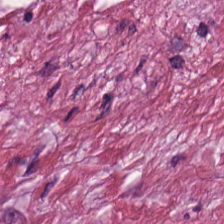Hematoxylin and eosin. Formalin-fixed paraffin-embedded section. Q: Classify this patch.
A: This is tumor-associated stroma.
